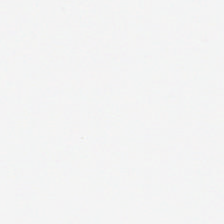Stain: hematoxylin and eosin.
Field content: no tissue.
